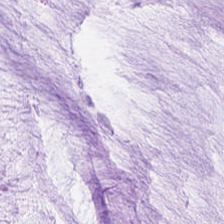Predominantly mucin.
